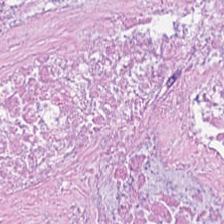0.5 µm per pixel; 224×224 px patch; hematoxylin-and-eosin stained section — Finding → debris.
